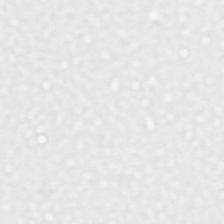Brightfield microscopy · H&E stain.
{"content": "background"}
